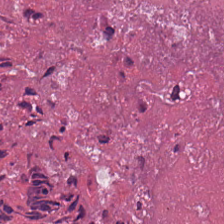H&E stain — Cellular debris.
